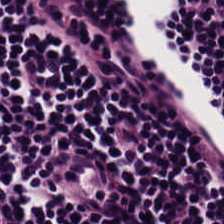H&E; FFPE. The predominant tissue is lymphocytes.
